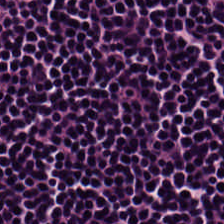H&E-stained tissue section. Predominant tissue — lymphocyte aggregate.
